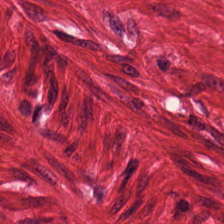Brightfield. Hematoxylin-and-eosin stained section. FFPE.
{"tissue_type": "smooth muscle"}
